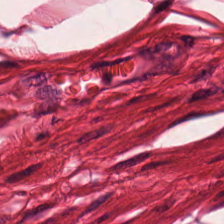WSI patch · H&E — This field is muscularis.
